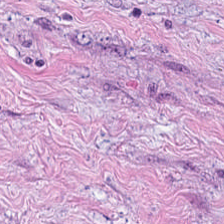H&E-stained tissue section — Tissue = tumor-associated stroma.
